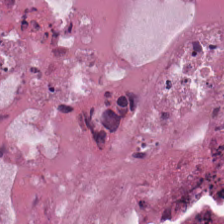Brightfield · hematoxylin-and-eosin stained section · 224×224 pixel tile.
Q: What type of tissue is this?
A: This is necrotic debris.
